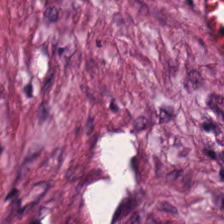Q: What tissue is shown?
A: It is tumor-associated stroma.
